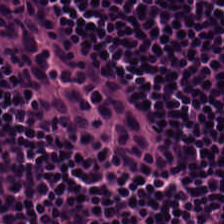The classification is lymphocytic infiltrate.
